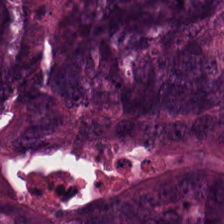224×224 px patch · brightfield · H&E-stained tissue section.
{"tissue_type": "colorectal adenocarcinoma epithelium"}
